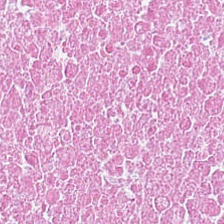Whole-slide-image patch. H&E-stained tissue section.
Q: What tissue type is shown here?
A: It is debris.
